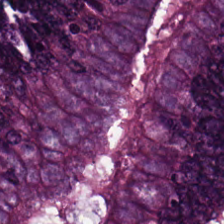H&E stain — The predominant tissue is colorectal adenocarcinoma.
